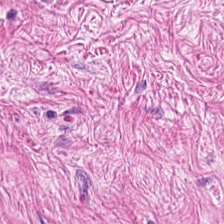Brightfield microscopy · 0.5 microns per pixel · H&E stain — Finding → muscularis.
